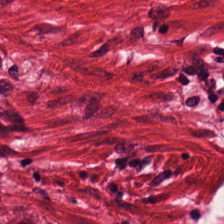H&E-stained tissue section — Showing muscularis.
